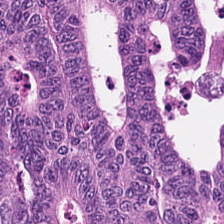Brightfield · H&E-stained tissue section · 224×224 px tile.
Impression — tumor epithelium.
